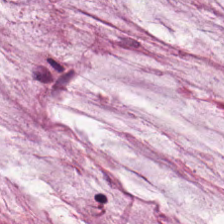Stain: hematoxylin-and-eosin stained section.
Classification: extracellular mucin.
